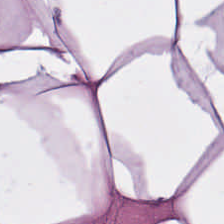H&E — Q: What does this patch show?
A: It is adipocytes.
